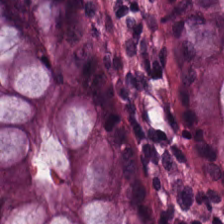Hematoxylin and eosin. Classification: non-neoplastic colon mucosa.
